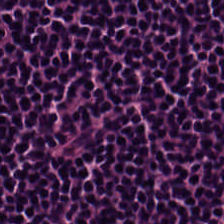Q: What tissue type is shown here?
A: Lymphocytic infiltrate.
